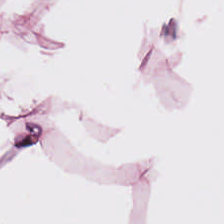Stain: hematoxylin and eosin.
Preparation: FFPE.
Tile size: 224×224 pixel tile.
Predominant tissue: adipose.
